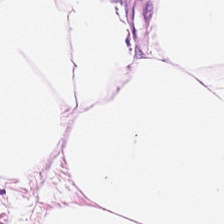H&E-stained section; the field shows adipose tissue.
